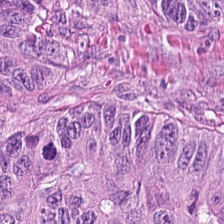H&E-stained tissue section; WSI patch. Finding → colorectal adenocarcinoma epithelium.
